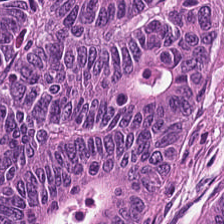H&E-stained tissue section. Brightfield — Tissue type = malignant epithelium.
